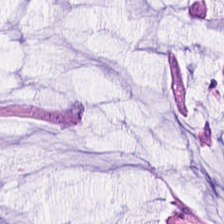H&E.
This patch shows extracellular mucin.
